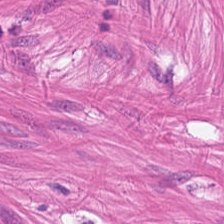Hematoxylin-and-eosin stained section — Predominantly smooth muscle.
